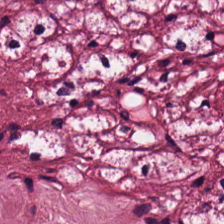Histology → tumor stroma.
